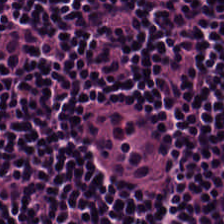20× equivalent magnification; H&E; FFPE. The predominant tissue is lymphoid infiltrate.
